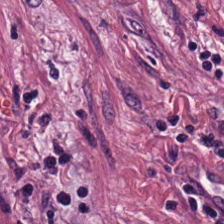Hematoxylin-and-eosin stained section. Predominant tissue: tumor stroma.
